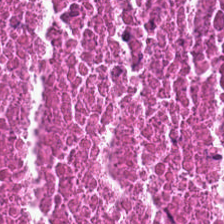Stain: H&E stain.
Tissue type: cellular debris.
